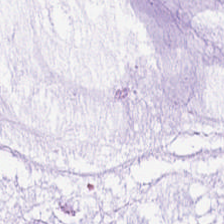Hematoxylin and eosin — Predominantly extracellular mucin.
